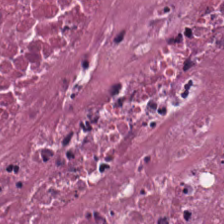Hematoxylin and eosin. 224×224 px patch.
Finding → cellular debris.
